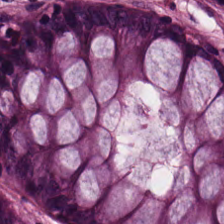H&E.
Impression — non-neoplastic colon mucosa.
